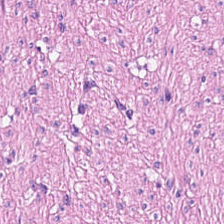H&E — Q: Identify the tissue.
A: It is smooth-muscle tissue.
